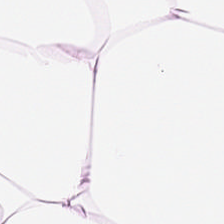H&E stain. This field is adipose tissue.
